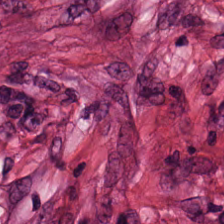Classification: tumor stroma.
